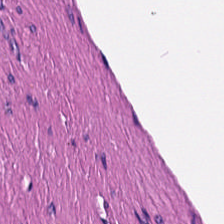Histology — smooth muscle.
